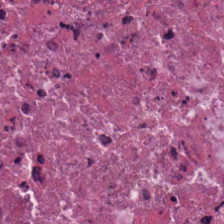Tissue type — debris.
